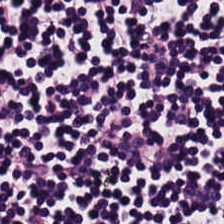Stain: hematoxylin-and-eosin stained section.
Classification: lymphoid infiltrate.
